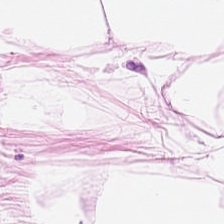Hematoxylin-and-eosin stained section; brightfield microscopy.
This patch shows adipocytes.
